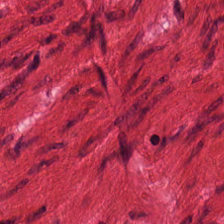Stain: H&E-stained tissue section.
Tile size: 224×224 px tile.
Preparation: formalin-fixed paraffin-embedded section.
Predominant tissue: smooth-muscle tissue.
